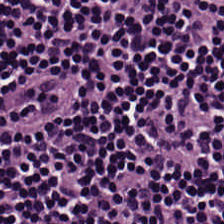H&E stain · brightfield microscopy. This field is lymphocytic infiltrate.
